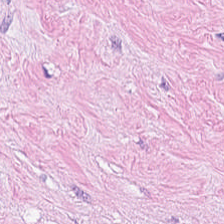Q: What does this patch show?
A: The field shows tumor stroma.
